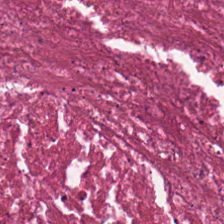Showing cellular debris.
